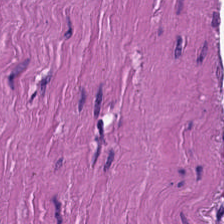H&E-stained tissue section; 224×224 px patch; 20× equivalent magnification — The tissue class is smooth muscle.
